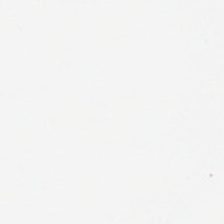H&E stain. Finding — background (no tissue).
